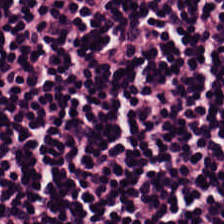Q: Identify the tissue.
A: It is lymphocytic infiltrate.
